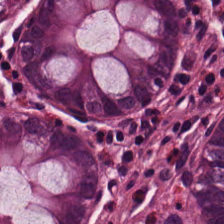FFPE tissue section · 224×224 px tile · hematoxylin and eosin. Showing normal colonic mucosa.
